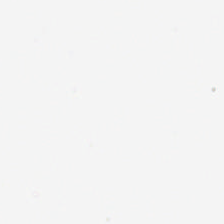Stain: H&E stain.
Field content: background.
